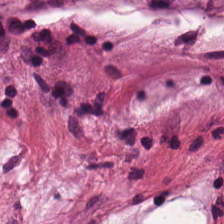Formalin-fixed paraffin-embedded section. H&E stain. WSI patch. The tissue here is mucus.
